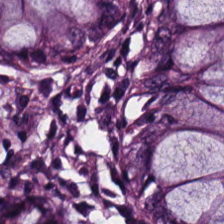Q: What tissue is shown?
A: This is non-neoplastic colon mucosa.
